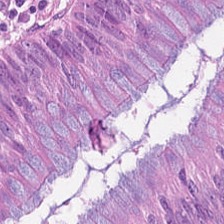H&E-stained tissue section. The tissue here is malignant epithelium.
